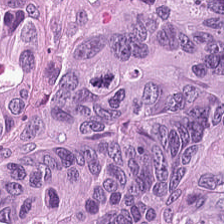H&E. Q: What does this patch show?
A: Colorectal adenocarcinoma.
